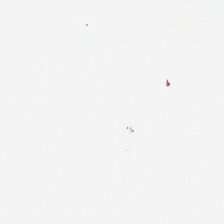Hematoxylin-and-eosin stained section.
Q: What is shown here?
A: This is empty background.
